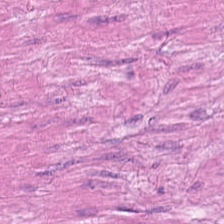Histology — smooth muscle.
